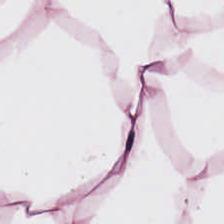Q: What is the predominant tissue type?
A: Adipocytes.
